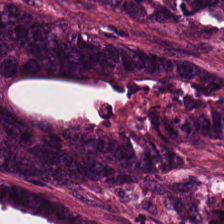Stain: H&E.
Tissue type: malignant epithelium.
